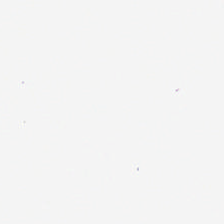H&E. 0.5 µm per pixel. FFPE. Q: Classify this patch.
A: This is background.
